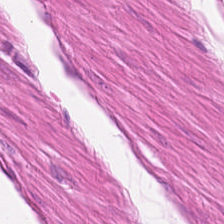Hematoxylin-and-eosin stained section · 0.5 µm/px.
Predominantly smooth muscle.
